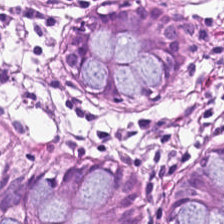H&E — {"tissue_type": "normal colonic mucosa"}
